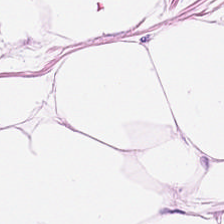0.5 µm per pixel; hematoxylin and eosin; WSI patch — {"tissue_type": "adipose"}
